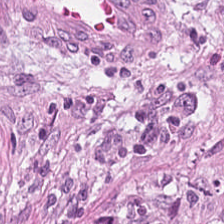Stain: hematoxylin and eosin.
Classification: cancer-associated stroma.
